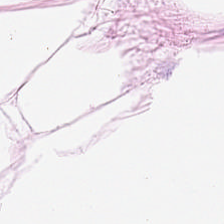H&E — adipose.
